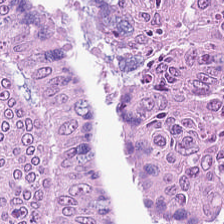20× equivalent magnification · H&E stain — Classification: adenocarcinoma.
